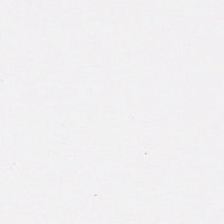FFPE tissue section · H&E. Content — empty background.
